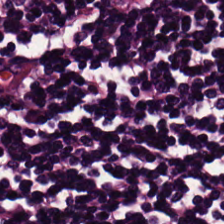H&E-stained section; the field shows lymphocytes.
